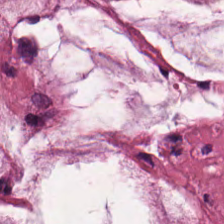Showing mucin.
